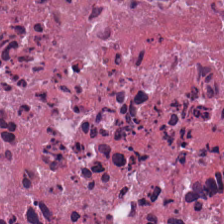Whole-slide-image patch; hematoxylin and eosin — Histology — cellular debris.
